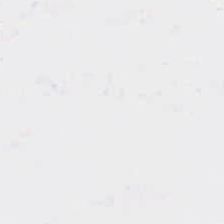H&E. Empty field — no tissue.
